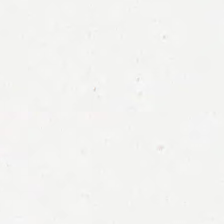Field content = background (no tissue).
